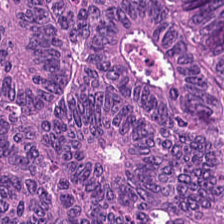H&E · formalin-fixed paraffin-embedded section.
This field is colorectal adenocarcinoma epithelium.
